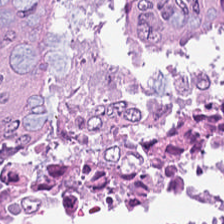Hematoxylin-and-eosin stained section. Q: What tissue is shown?
A: Malignant epithelium.
